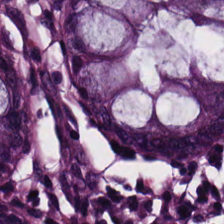Stain: H&E stain.
Tissue: benign colonic mucosa.
